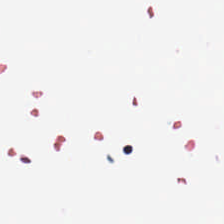Field content — empty background.
